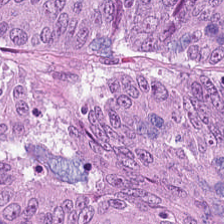H&E stain.
Predominantly colorectal adenocarcinoma epithelium.
